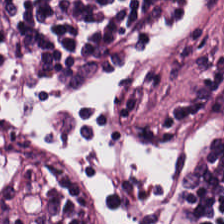H&E stain. 0.5 µm/px.
Predominantly lymphocyte aggregate.
